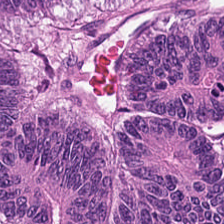H&E; 0.5 microns per pixel — Showing colorectal adenocarcinoma.
